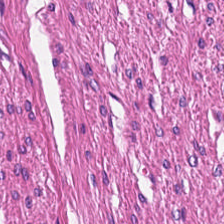Tissue type: muscularis.
